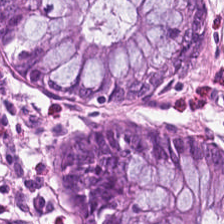0.5 µm/px · H&E. Tissue = normal colon mucosa.
